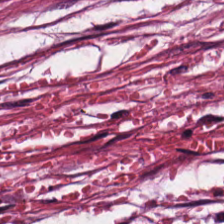FFPE. Hematoxylin-and-eosin stained section — Predominant tissue: desmoplastic stroma.
